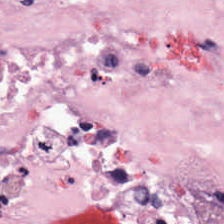H&E. The predominant tissue is cancer-associated stroma.
